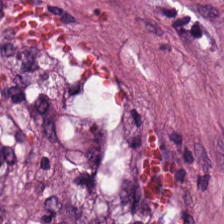H&E stain — Tissue — cancer-associated stroma.
